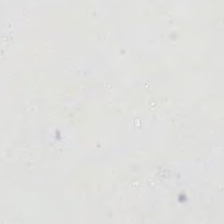H&E-stained tissue section — No tissue present; background only.
